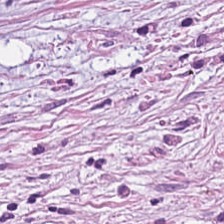Predominant tissue: desmoplastic stroma.
